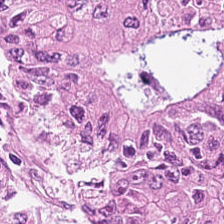Hematoxylin and eosin.
Showing malignant epithelium.
